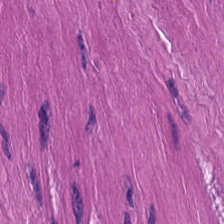Hematoxylin-and-eosin stained section — The tissue class is smooth-muscle tissue.
